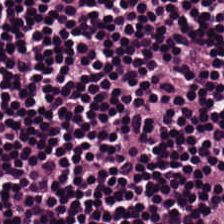224×224 pixel tile. H&E-stained tissue section.
Predominantly lymphocytes.
